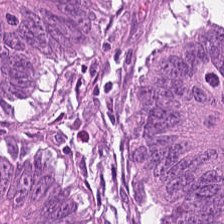{"tissue_type": "adenocarcinoma"}
